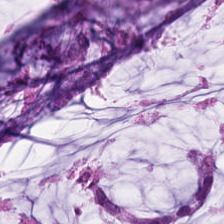Stain: hematoxylin and eosin.
Tissue type: mucus.
